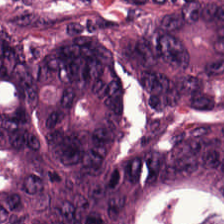Hematoxylin-and-eosin stained section. The predominant tissue is tumor epithelium.
